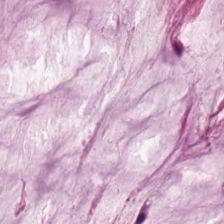224×224 px patch; FFPE tissue section; hematoxylin-and-eosin stained section. The classification is mucus.
